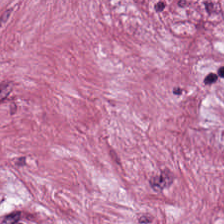Whole-slide-image patch. Hematoxylin-and-eosin stained section — The tissue is tumor stroma.
